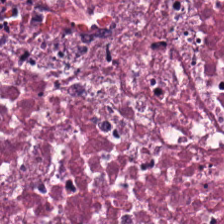H&E-stained tissue section · 224×224 pixel tile · formalin-fixed paraffin-embedded section.
Histology — necrotic debris.
